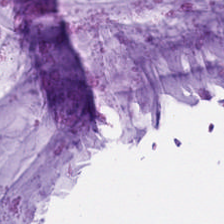Brightfield · 0.5 µm/px · H&E-stained tissue section.
Impression — mucus.
